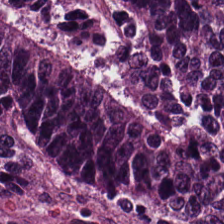Formalin-fixed paraffin-embedded section · hematoxylin-and-eosin stained section. Tissue: adenocarcinoma.
